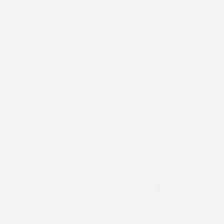Empty field — background (no tissue).
